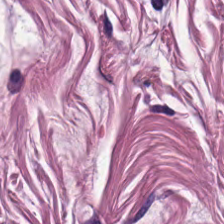H&E stain — This patch shows muscularis.
